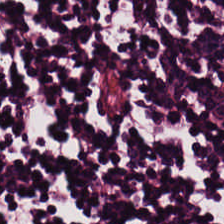Lymphoid infiltrate.
